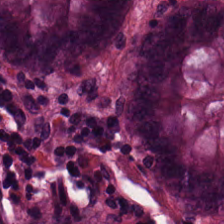Hematoxylin-and-eosin stained section · 0.5 microns per pixel.
This patch shows non-neoplastic colon mucosa.
